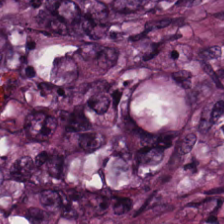H&E-stained tissue section showing colorectal adenocarcinoma epithelium.
